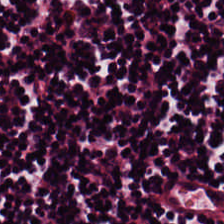Brightfield. H&E-stained tissue section — The predominant tissue is lymphocyte aggregate.
